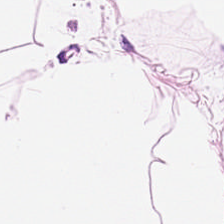Histology — fat tissue.
